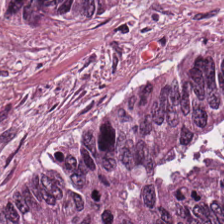H&E stain. Tissue type: colorectal adenocarcinoma epithelium.
